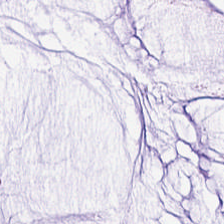Hematoxylin-and-eosin stained section.
The predominant tissue is mucin.
